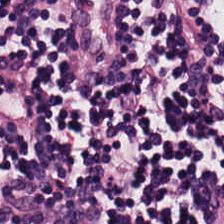Hematoxylin-and-eosin stained section · whole-slide-image patch. Classification — lymphoid infiltrate.
